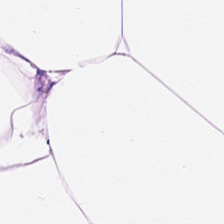Whole-slide-image patch; FFPE; H&E stain.
Tissue — adipose tissue.
